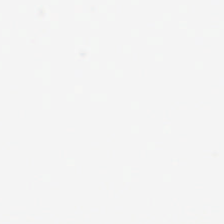Hematoxylin and eosin — The field content is empty background.
